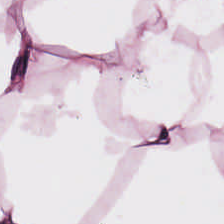Hematoxylin and eosin. Fat tissue.
